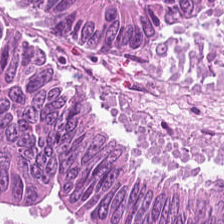224×224 px patch · hematoxylin-and-eosin stained section · brightfield. Predominantly adenocarcinoma.
